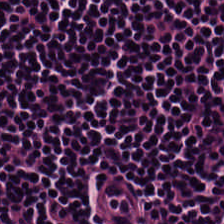WSI patch · H&E-stained tissue section. The predominant tissue is lymphoid infiltrate.
